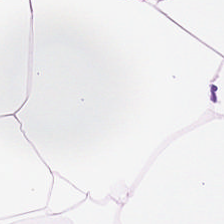Hematoxylin-and-eosin stained section. Predominantly adipose.
